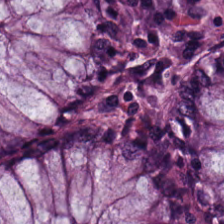H&E stain. Q: What is the predominant tissue type?
A: It is benign colonic mucosa.
